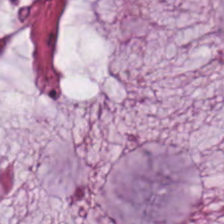Stain: H&E stain.
Tissue class: mucus.
